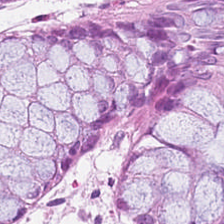Showing benign colonic mucosa.
